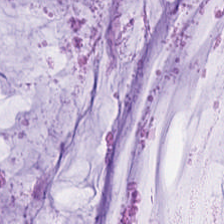The tissue here is mucus.
